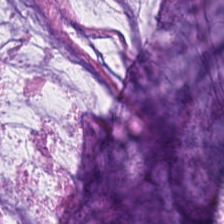H&E — Predominant tissue = extracellular mucin.
